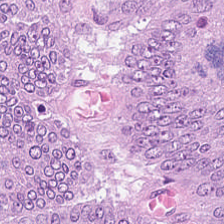H&E-stained tissue section; 224×224 px patch — Showing colorectal adenocarcinoma epithelium.
